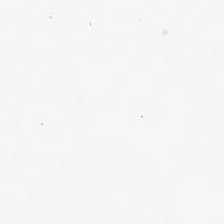Formalin-fixed paraffin-embedded section; 224×224 px tile; H&E stain — Q: What does this patch show?
A: This is background (no tissue).
